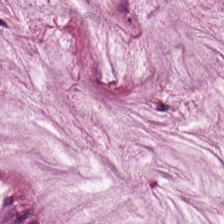{"tissue_type": "extracellular mucin"}
